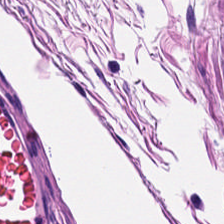H&E stain; brightfield.
The predominant tissue is smooth muscle.
